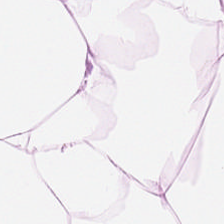Hematoxylin and eosin. The predominant tissue is adipose tissue.
